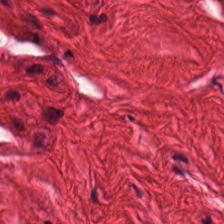Stain: hematoxylin-and-eosin stained section.
Tissue type: muscularis.
